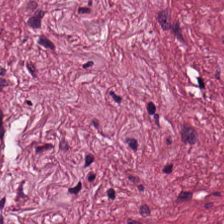H&E stain.
Predominantly desmoplastic stroma.
